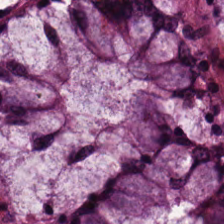Hematoxylin and eosin — Tissue: normal colon mucosa.
